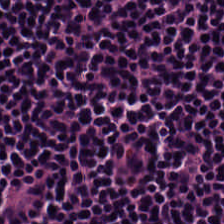H&E-stained tissue section.
{"tissue_type": "lymphocyte aggregate"}
